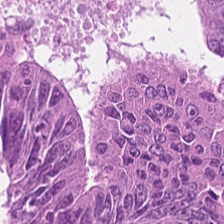H&E. Classification: tumor epithelium.
